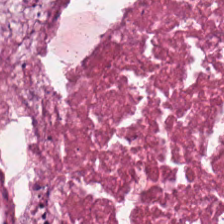H&E stain — Finding — cellular debris.
